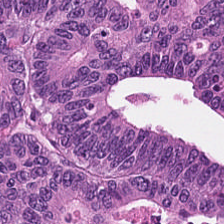224×224 pixel tile. 0.5 µm/px. H&E.
Tumor epithelium.
